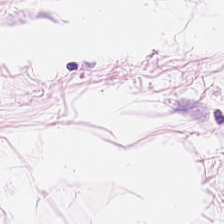H&E-stained tissue section — Q: What tissue is shown?
A: The field shows fat tissue.
